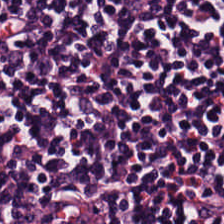H&E. FFPE tissue section.
The tissue type is lymphocytic infiltrate.
